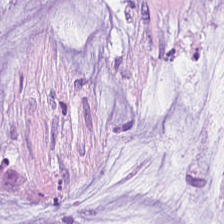Hematoxylin-and-eosin stained section. 0.5 microns per pixel.
Mucin.
